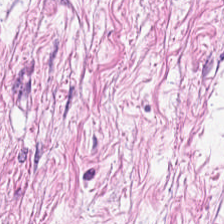Stain: H&E-stained tissue section.
Acquisition: brightfield.
Predominant tissue: tumor stroma.
